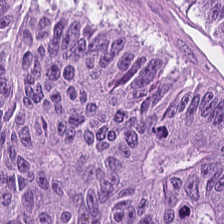H&E-stained tissue section. Finding — colorectal adenocarcinoma.
